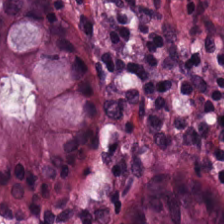Hematoxylin and eosin. Formalin-fixed paraffin-embedded section.
Q: What does this patch show?
A: This is non-neoplastic colon mucosa.
